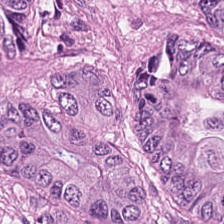Brightfield microscopy; FFPE tissue section; hematoxylin and eosin.
The classification is malignant epithelium.
